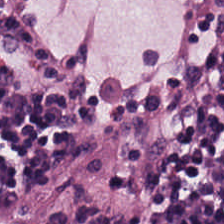Whole-slide-image patch. H&E stain — Lymphocytes.
